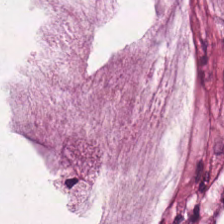0.5 µm/px. 224×224 pixel tile. H&E stain — Finding → extracellular mucin.
